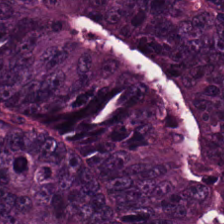Showing adenocarcinoma.
